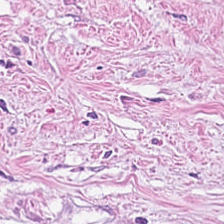Hematoxylin and eosin — The predominant tissue is tumor-associated stroma.
